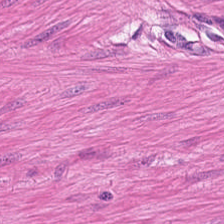H&E; 224×224 pixel tile.
Predominantly muscularis.
